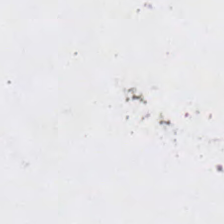20× equivalent magnification; hematoxylin-and-eosin stained section; 224×224 px tile.
No tissue.
